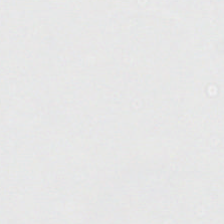H&E — Background (no tissue).
